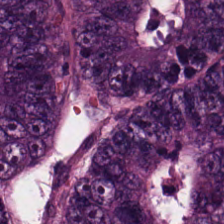224×224 px tile; hematoxylin and eosin — Classification = colorectal adenocarcinoma epithelium.
